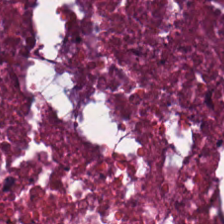Hematoxylin-and-eosin stained section. Q: Identify the tissue.
A: Necrotic debris.
